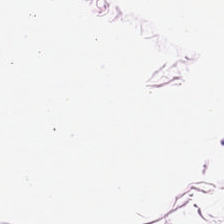Q: What is shown here?
A: This is adipose.
